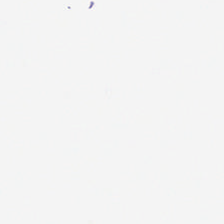Hematoxylin and eosin — This patch shows background (no tissue).
